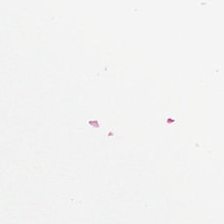Hematoxylin-and-eosin stained section; 20× equivalent magnification; FFPE tissue section — The classification is background.
